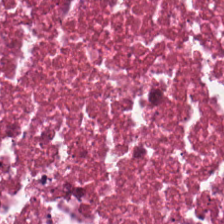Stain: hematoxylin and eosin.
Predominant tissue: cellular debris.
